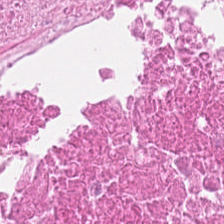Stain: hematoxylin and eosin.
Tile size: 224×224 px patch.
Resolution: 20× equivalent magnification.
Tissue: cellular debris.
